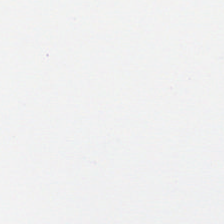Background — no tissue in this field.
